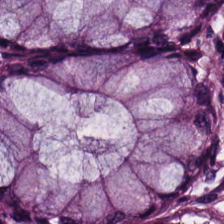H&E stain. This field is normal colon mucosa.
